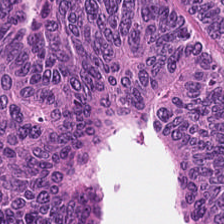Stain: hematoxylin-and-eosin stained section.
Tissue: adenocarcinoma.
